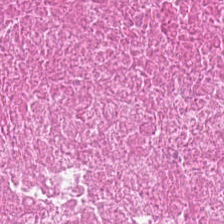224×224 px patch; hematoxylin and eosin; FFPE — The predominant tissue is cellular debris.
